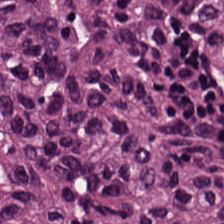224×224 pixel tile. Hematoxylin-and-eosin stained section. 0.5 µm/px.
The tissue here is adenocarcinoma.
